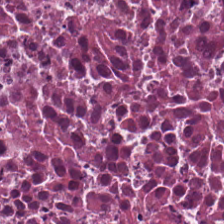Hematoxylin and eosin. The predominant tissue is necrotic debris.
